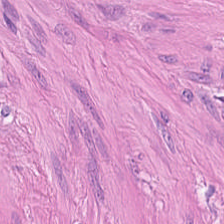Stain: hematoxylin-and-eosin stained section.
Tissue class: smooth muscle.
